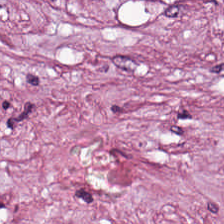H&E-stained tissue section. FFPE. The tissue is tumor-associated stroma.
